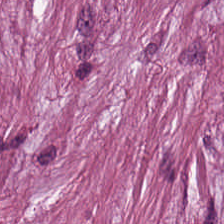Hematoxylin-and-eosin stained section · FFPE tissue section · 224×224 pixel tile. The predominant tissue is tumor stroma.
